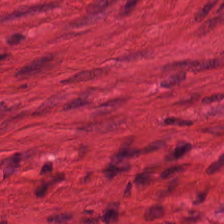Stain: H&E.
Tissue: muscularis.
